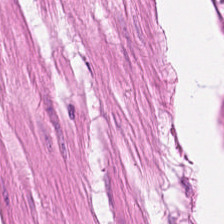Brightfield microscopy · H&E — Predominantly muscularis.
